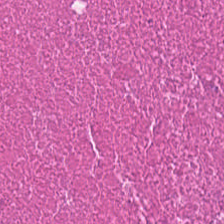Q: What does this patch show?
A: The field shows debris.
